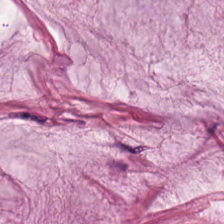Whole-slide-image patch; hematoxylin-and-eosin stained section — The predominant tissue is mucus.
